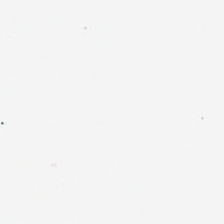Empty background.
